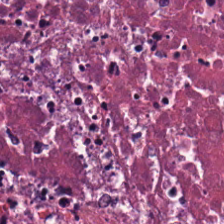Hematoxylin-and-eosin stained section. Q: What tissue type is shown here?
A: Cellular debris.
